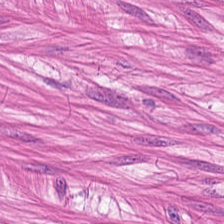H&E stain.
The tissue class is smooth-muscle tissue.
